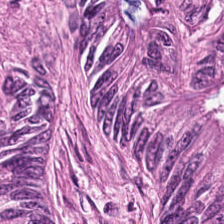FFPE tissue section · 224×224 pixel tile · hematoxylin and eosin.
This field is colorectal adenocarcinoma epithelium.
